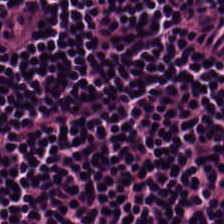Brightfield · H&E-stained tissue section · 0.5 µm/px. Predominantly lymphocytes.
